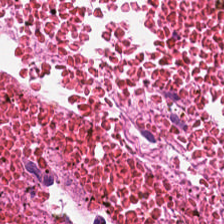Stain: hematoxylin and eosin.
Predominant tissue: cellular debris.
